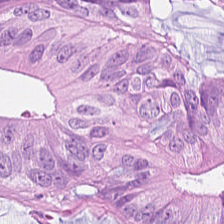Stain: H&E-stained tissue section.
Predominant tissue: colorectal adenocarcinoma epithelium.
